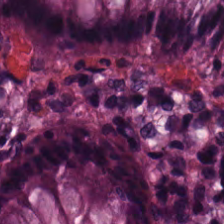Tissue type = normal colonic mucosa.
